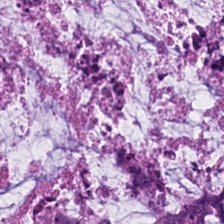Stain: H&E stain.
Acquisition: brightfield microscopy.
Classification: mucus.
